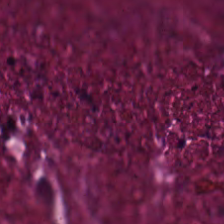Hematoxylin-and-eosin section: cellular debris.
